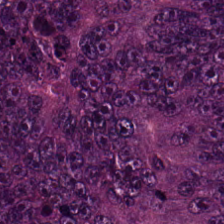Stain: H&E stain.
Tissue class: tumor epithelium.
